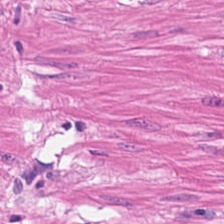H&E — Tissue type = smooth-muscle tissue.
